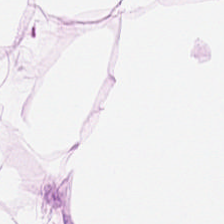Hematoxylin and eosin · 224×224 pixel tile.
The predominant tissue is adipocytes.
